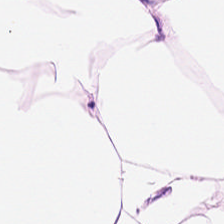H&E · 20× equivalent magnification. Classification — fat tissue.
